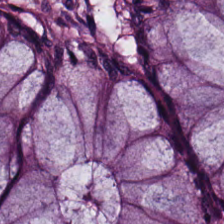H&E-stained tissue section — Classification: non-neoplastic colon mucosa.
